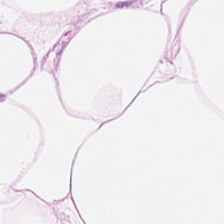FFPE tissue section; H&E-stained tissue section. Fat tissue.
